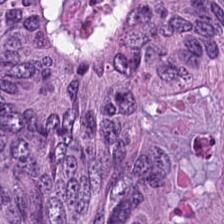H&E stain. This field is adenocarcinoma.
